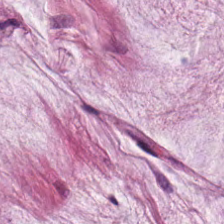Q: What tissue is shown?
A: The field shows mucus.
